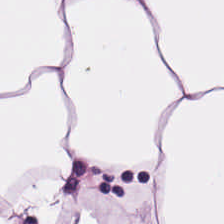Brightfield; H&E stain. Finding — adipose tissue.
